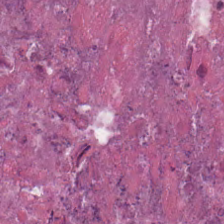H&E stain · formalin-fixed paraffin-embedded section — Q: What tissue is shown?
A: The field shows cellular debris.
